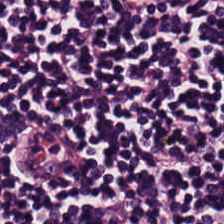20× equivalent magnification. Hematoxylin-and-eosin stained section.
Lymphocyte aggregate.
